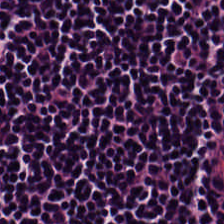WSI patch · 0.5 µm per pixel · H&E stain — Predominantly lymphocyte aggregate.
